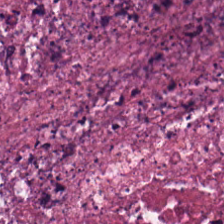Hematoxylin and eosin — This field is necrotic debris.
